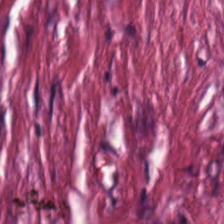Hematoxylin-and-eosin stained section.
The predominant tissue is desmoplastic stroma.
